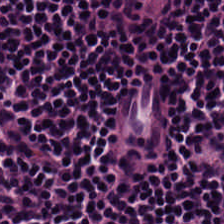Hematoxylin and eosin; 224×224 px tile — Impression — lymphocytes.
